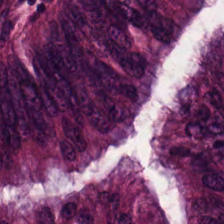FFPE tissue section · H&E. The predominant tissue is adenocarcinoma.
